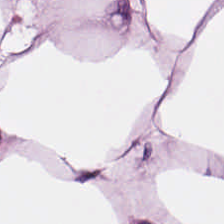H&E stain — The tissue class is adipose tissue.
